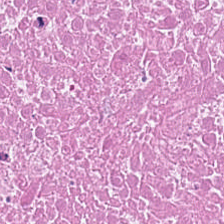H&E. {"tissue_type": "necrotic debris"}
